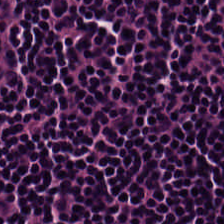Hematoxylin and eosin. FFPE tissue section. Showing lymphocyte aggregate.
